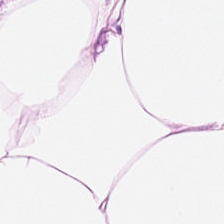Brightfield · 224×224 pixel tile · H&E-stained tissue section. Tissue class: fat tissue.
